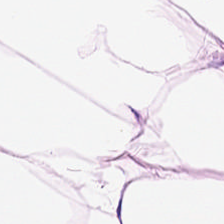Stain: H&E-stained tissue section.
Resolution: 20× equivalent magnification.
Tile size: 224×224 px patch.
Tissue: fat tissue.
